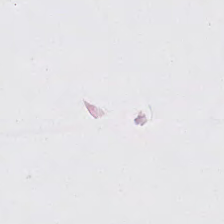Q: Classify this patch.
A: The field shows empty background.
